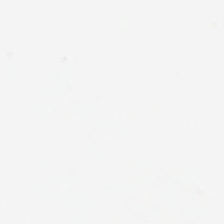Q: What is shown here?
A: Empty background.
